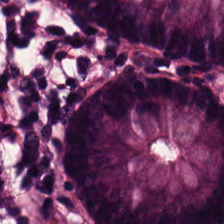Stain: hematoxylin and eosin.
Tissue: normal colon mucosa.
